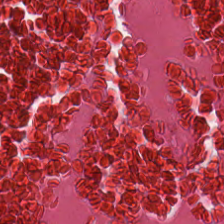H&E.
Q: What tissue is shown?
A: It is cellular debris.
